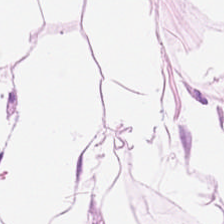H&E — adipose.
